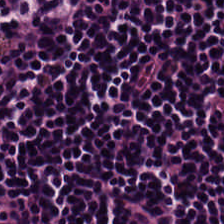Hematoxylin and eosin. The tissue here is lymphocyte aggregate.
